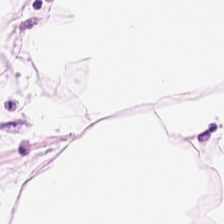H&E stain.
Classification = adipocytes.
